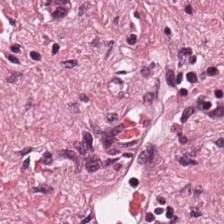H&E-stained tissue section. {"tissue_type": "cancer-associated stroma"}
